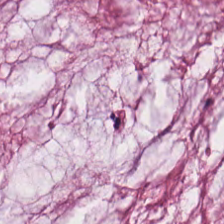H&E. Q: Identify the tissue.
A: Extracellular mucin.
